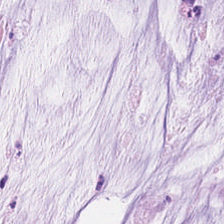Hematoxylin and eosin — Q: Identify the tissue.
A: It is mucin.
